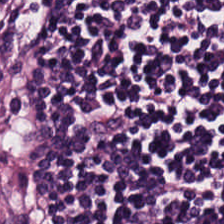H&E-stained tissue section — {"tissue_type": "lymphoid infiltrate"}
